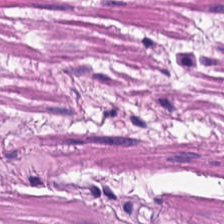Smooth-muscle tissue.
